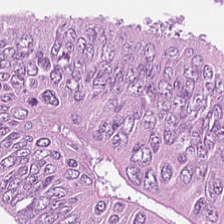H&E. Q: What is the predominant tissue type?
A: Malignant epithelium.
